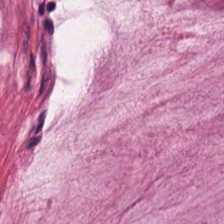Hematoxylin and eosin. Predominantly mucin.
